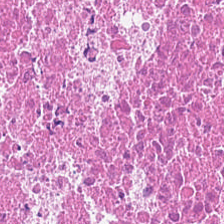Hematoxylin and eosin. FFPE. Q: What tissue type is shown here?
A: The field shows cellular debris.
